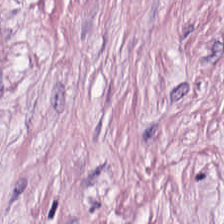20× equivalent magnification. Hematoxylin and eosin — Tissue type — desmoplastic stroma.
